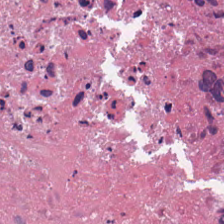Hematoxylin-and-eosin stained section; FFPE tissue section — Finding — necrotic debris.
